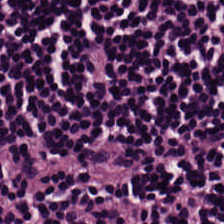H&E · brightfield microscopy — Predominant tissue = lymphocytes.
